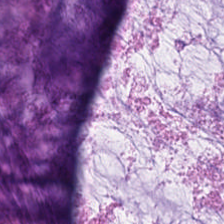H&E.
Classification: mucus.
